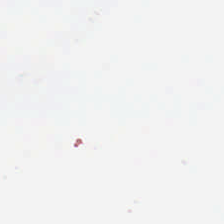Stain: hematoxylin-and-eosin stained section.
Content: no tissue.
